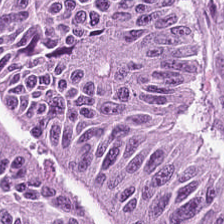224×224 px patch. 20× equivalent magnification. H&E stain.
Histology → tumor epithelium.
